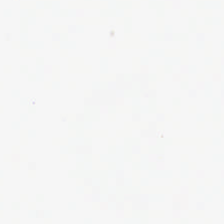Background (no tissue).
